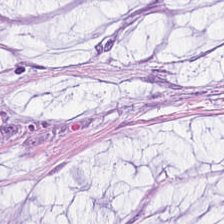FFPE tissue section; hematoxylin-and-eosin stained section — Predominant tissue = mucus.
